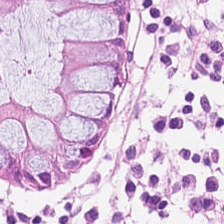Stain: hematoxylin-and-eosin stained section.
Preparation: formalin-fixed paraffin-embedded section.
Acquisition: WSI patch.
Tissue class: normal colonic mucosa.
